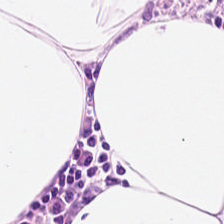H&E — Q: What is shown here?
A: This is adipose.
